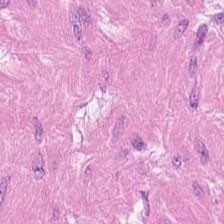Stain: hematoxylin-and-eosin stained section.
Predominant tissue: smooth-muscle tissue.
